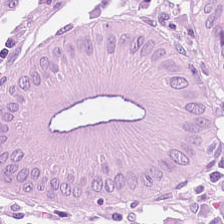H&E stain.
Classification — non-neoplastic colon mucosa.
